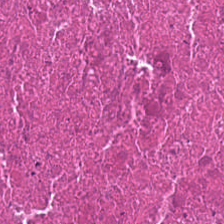Hematoxylin and eosin. Q: What tissue type is shown here?
A: The field shows cellular debris.
